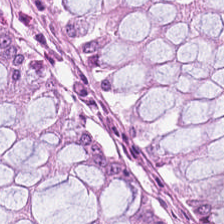Hematoxylin and eosin · WSI patch · 0.5 µm/px. The tissue here is benign colonic mucosa.
